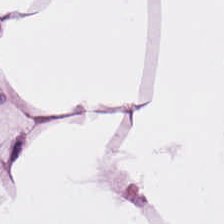FFPE · hematoxylin-and-eosin stained section. This field is adipocytes.
